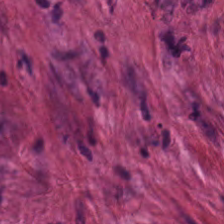Tissue type = desmoplastic stroma.
